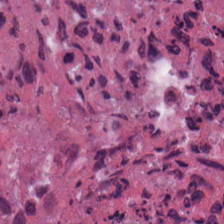0.5 µm/px; hematoxylin-and-eosin stained section.
Classification = debris.
